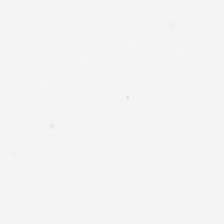Q: What is shown in this field?
A: Background.
